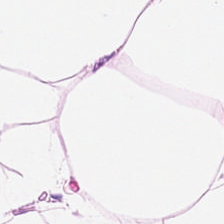Hematoxylin and eosin. FFPE tissue section. Whole-slide-image patch — Showing adipocytes.
